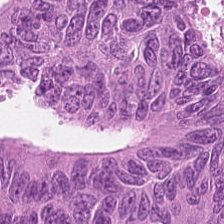Hematoxylin and eosin.
Showing malignant epithelium.
